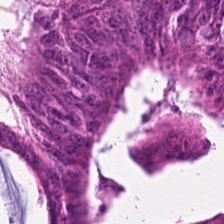Q: What does this patch show?
A: Colorectal adenocarcinoma epithelium.
